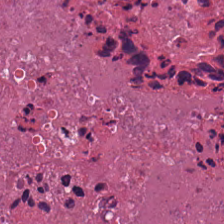H&E; brightfield.
This field is cellular debris.
